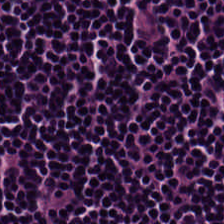Formalin-fixed paraffin-embedded section · 224×224 px tile · H&E-stained tissue section.
Impression — lymphocytes.
